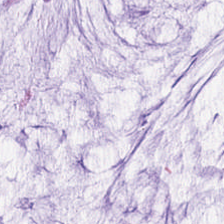H&E stain. Mucus.
